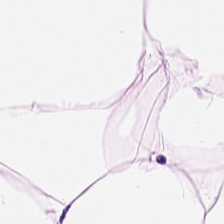Stain: H&E stain.
Preparation: FFPE.
Tissue type: adipose tissue.
